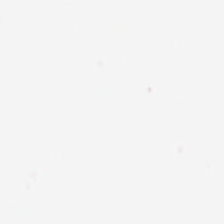H&E.
This field is background (no tissue).
